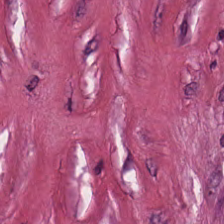Stain: H&E stain.
Resolution: 0.5 microns per pixel.
Tile size: 224×224 px tile.
Tissue: tumor-associated stroma.
